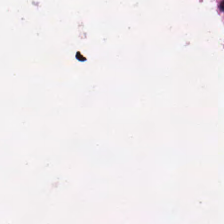H&E; FFPE tissue section; 224×224 px tile — The tissue here is necrotic debris.
